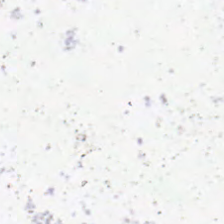This field is background (no tissue).
